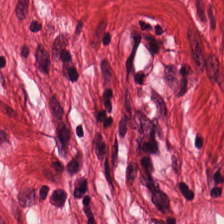Stain: H&E stain.
Tile size: 224×224 px tile.
Tissue: smooth-muscle tissue.
